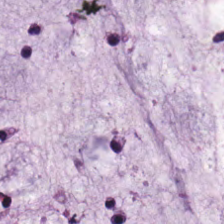224×224 px tile · H&E — Classification = mucin.
